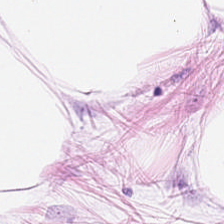Tissue class = adipose tissue.
